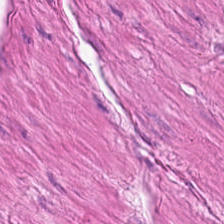Stain: H&E.
Tile size: 224×224 px patch.
Classification: smooth muscle.
